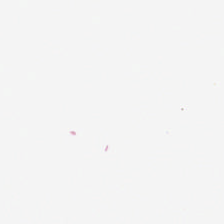No tissue present; background only.
